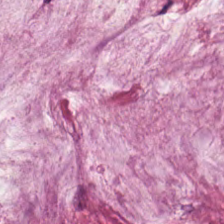Predominant tissue: extracellular mucin.
